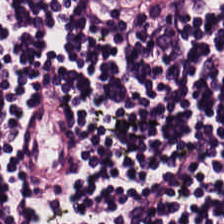H&E. 224×224 px patch. FFPE.
This patch shows lymphocytic infiltrate.
